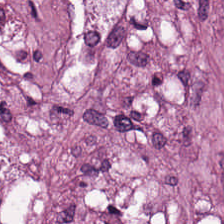224×224 pixel tile; H&E; whole-slide-image patch — Tissue class: tumor-associated stroma.
